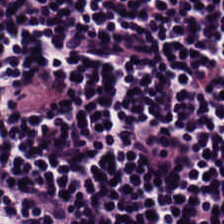H&E stain.
Predominant tissue — lymphocytes.
